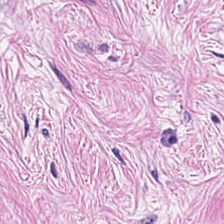224×224 px patch. H&E stain. FFPE tissue section. Tissue type: cancer-associated stroma.
